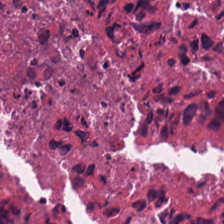Impression → cellular debris.
